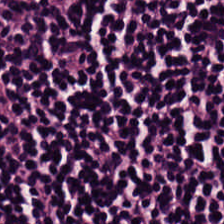Hematoxylin and eosin.
Impression → lymphocytes.
